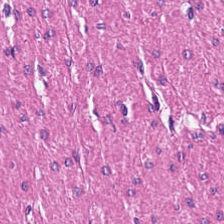Stain: H&E.
Resolution: 0.5 µm/px.
Acquisition: whole-slide-image patch.
Predominant tissue: muscularis.
